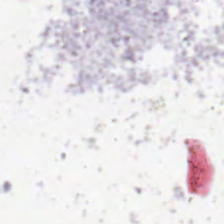Finding → empty background.
